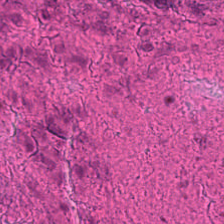Stain: H&E-stained tissue section.
Tile size: 224×224 px patch.
Acquisition: brightfield.
Tissue type: debris.
